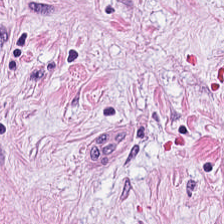Q: What does this patch show?
A: It is desmoplastic stroma.
